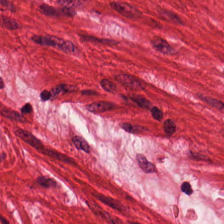H&E. Q: What is the predominant tissue type?
A: This is smooth muscle.
